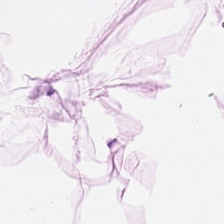Q: Identify the tissue.
A: This is fat tissue.
